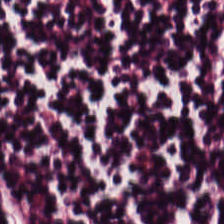H&E · 224×224 pixel tile.
This patch shows lymphocytic infiltrate.
